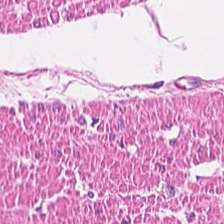Whole-slide-image patch. H&E-stained tissue section.
Smooth-muscle tissue.
